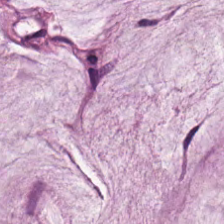H&E. The predominant tissue is mucin.
